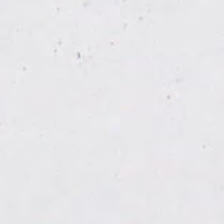Formalin-fixed paraffin-embedded section. Hematoxylin and eosin.
Q: Classify this patch.
A: The field shows background.
